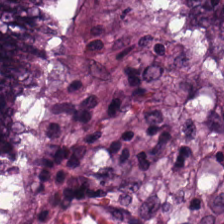H&E — The predominant tissue is adenocarcinoma.
